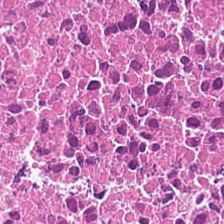Stain: H&E-stained tissue section.
Preparation: formalin-fixed paraffin-embedded section.
Tissue class: cellular debris.
